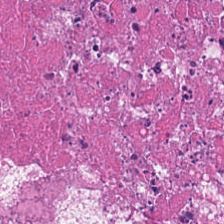Stain: hematoxylin-and-eosin stained section.
Predominant tissue: debris.
